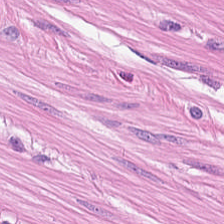Brightfield; H&E. Impression → muscularis.
